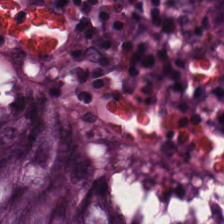Q: What is shown here?
A: It is non-neoplastic colon mucosa.
